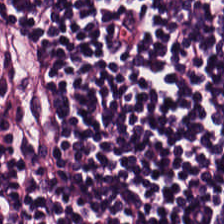FFPE; hematoxylin and eosin — Q: What is shown in this field?
A: It is lymphocytes.
